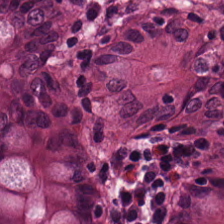FFPE tissue section; 20× equivalent magnification; H&E stain. Non-neoplastic colon mucosa.
